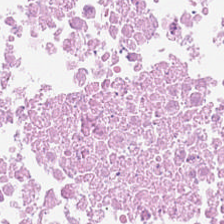224×224 px tile · hematoxylin-and-eosin stained section — Impression — debris.
